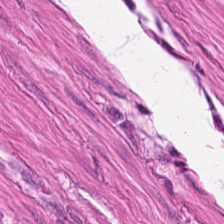Hematoxylin-and-eosin stained section.
Q: What is shown here?
A: This is smooth-muscle tissue.
